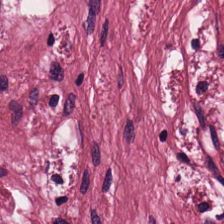H&E · 0.5 µm/px — This field is tumor stroma.
